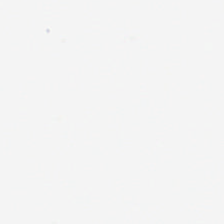Hematoxylin and eosin · 0.5 µm/px. This field is background (no tissue).
